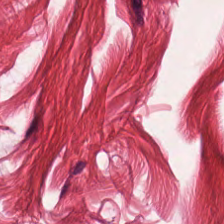Hematoxylin and eosin. Showing muscularis.
